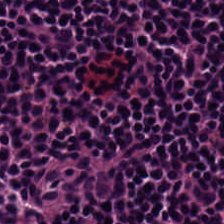Stain: H&E.
Preparation: formalin-fixed paraffin-embedded section.
Tissue: lymphoid infiltrate.
